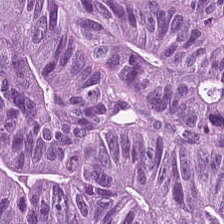{"tissue_type": "tumor epithelium"}
